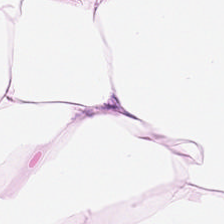Hematoxylin and eosin.
Q: What does this patch show?
A: Adipose tissue.
